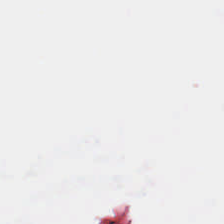224×224 pixel tile. H&E. FFPE — Content = background (no tissue).
